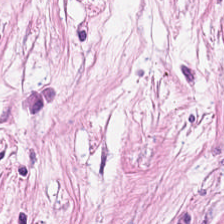Hematoxylin and eosin · 224×224 pixel tile.
Finding → desmoplastic stroma.
